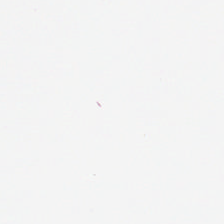H&E-stained tissue section — No tissue.
